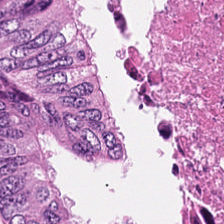Stain: H&E-stained tissue section.
Tissue class: cellular debris.
